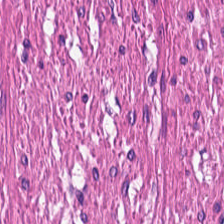Tissue — muscularis.
